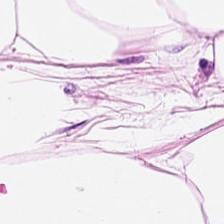0.5 microns per pixel; H&E; 224×224 px tile — Finding → fat tissue.
